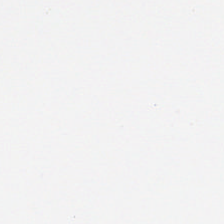Field content: empty background.
